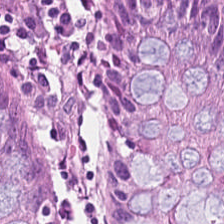0.5 µm per pixel; hematoxylin and eosin. The predominant tissue is normal colon mucosa.
